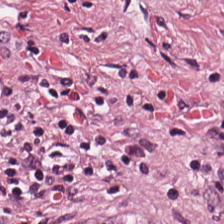Hematoxylin-and-eosin stained section; 0.5 µm per pixel.
This field is tumor-associated stroma.
